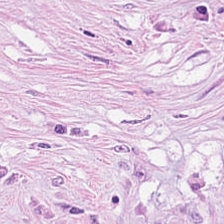0.5 µm per pixel. H&E-stained tissue section.
Q: Identify the tissue.
A: The field shows desmoplastic stroma.
